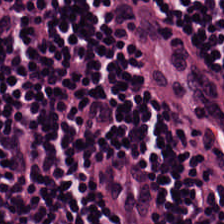Hematoxylin-and-eosin stained section.
{"tissue_type": "lymphocyte aggregate"}
